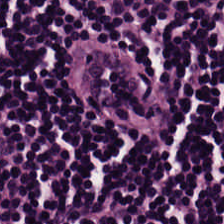Hematoxylin and eosin — The predominant tissue is lymphocytic infiltrate.
